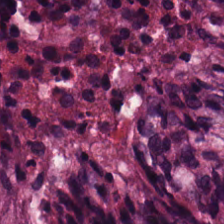Hematoxylin-and-eosin stained section — Benign colonic mucosa.
